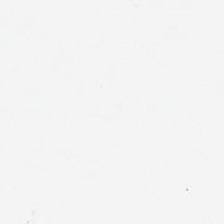Stain: H&E-stained tissue section.
Classification: empty background.
